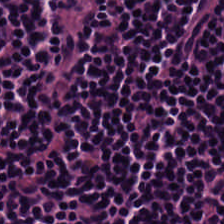Hematoxylin-and-eosin stained section; 0.5 µm per pixel; FFPE tissue section — This field is lymphocytes.
